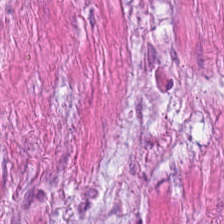Hematoxylin and eosin — Impression — smooth muscle.
